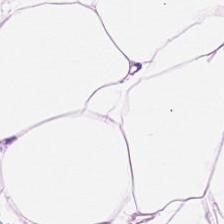Predominant tissue = adipocytes.
